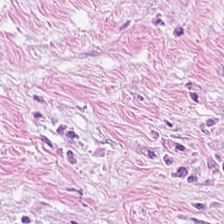H&E.
The predominant tissue is desmoplastic stroma.
